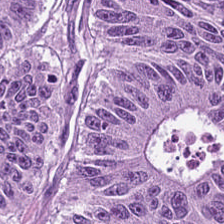Hematoxylin-and-eosin stained section — Tissue type: tumor epithelium.
